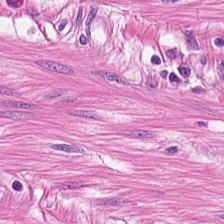Hematoxylin and eosin. This field is smooth muscle.
